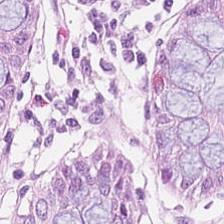H&E.
Q: What is shown here?
A: Normal colonic mucosa.
